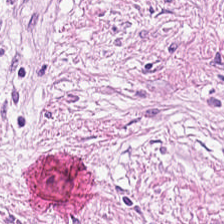H&E stain. Finding — tumor stroma.
